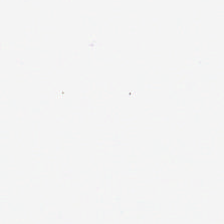Brightfield microscopy · H&E stain.
Q: What does this patch show?
A: It is empty background.
